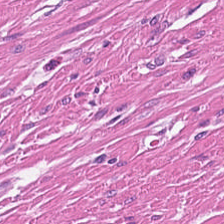H&E stain — Q: Identify the tissue.
A: The field shows smooth muscle.
